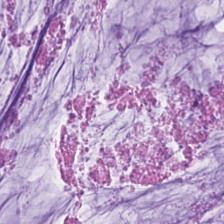Stain: H&E stain.
Acquisition: brightfield microscopy.
Classification: mucus.
